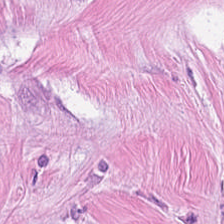{"tissue_type": "cancer-associated stroma"}
